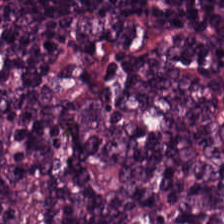Stain: H&E stain.
Predominant tissue: lymphocytes.
